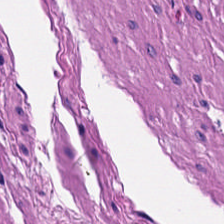H&E. Impression → smooth-muscle tissue.
